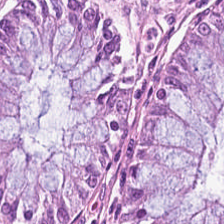H&E stain. The tissue here is non-neoplastic colon mucosa.
